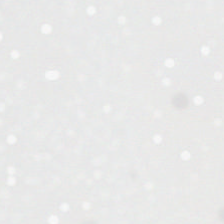Hematoxylin-and-eosin stained section.
Impression → background.
